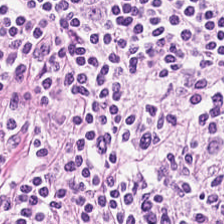Hematoxylin and eosin — Showing lymphocyte aggregate.
